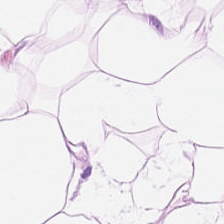Stain: hematoxylin-and-eosin stained section.
Preparation: FFPE.
Classification: adipocytes.
